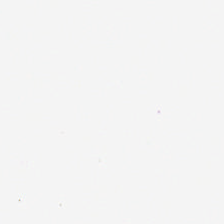Stain: H&E stain.
Tile size: 224×224 px patch.
Content: background.
